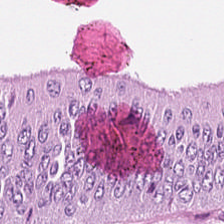Classification: malignant epithelium.
